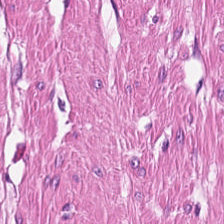Hematoxylin and eosin. This field is smooth-muscle tissue.
